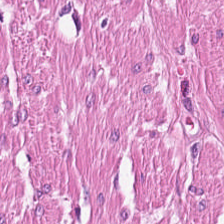Tissue class — smooth-muscle tissue.
